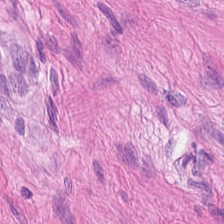H&E-stained tissue section — Tissue class: smooth-muscle tissue.
